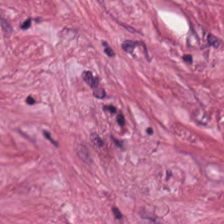Tissue type = cancer-associated stroma.
